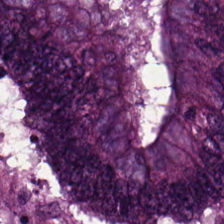Q: What does this patch show?
A: The field shows adenocarcinoma.
